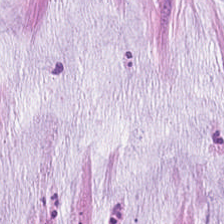Hematoxylin-and-eosin stained section — Q: What type of tissue is this?
A: The field shows extracellular mucin.
